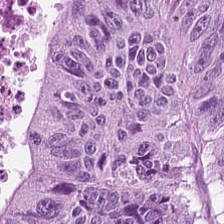H&E.
Predominantly adenocarcinoma.
